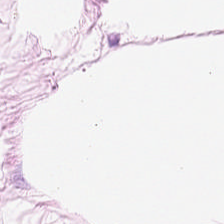20× equivalent magnification; hematoxylin and eosin. The tissue here is adipocytes.
